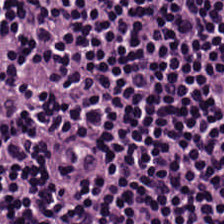Stain: H&E-stained tissue section.
Preparation: formalin-fixed paraffin-embedded section.
Tissue class: lymphocytic infiltrate.
